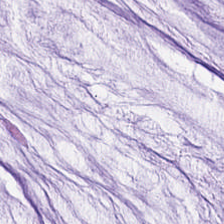H&E-stained tissue section — Q: What is shown here?
A: This is extracellular mucin.
